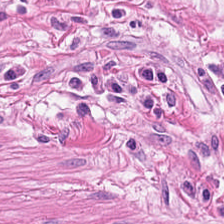H&E-stained tissue section — Q: Classify this patch.
A: This is smooth muscle.
